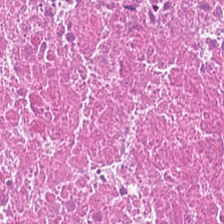H&E-stained tissue section; 0.5 microns per pixel.
Impression — debris.
